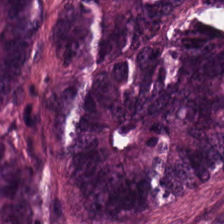H&E stain — Predominant tissue — malignant epithelium.
